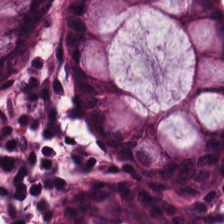Hematoxylin-and-eosin stained section. Predominant tissue — non-neoplastic colon mucosa.
